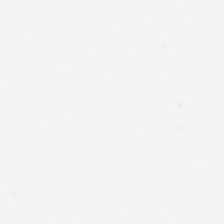H&E stain. Background — no tissue in this field.
